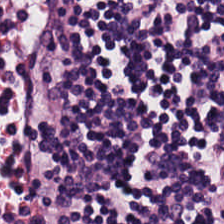Stain: H&E.
Tissue: lymphocytes.
